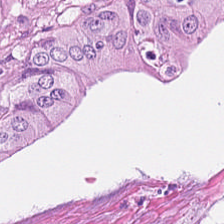Hematoxylin-and-eosin stained section. 224×224 px patch — Malignant epithelium.
